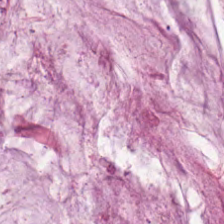Hematoxylin-and-eosin stained section — Q: Classify this patch.
A: The field shows mucin.
